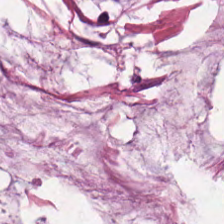224×224 px patch; formalin-fixed paraffin-embedded section; H&E — Q: What tissue is shown?
A: The field shows mucin.
